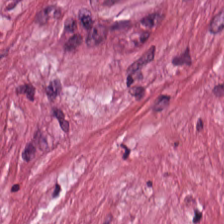Hematoxylin and eosin. WSI patch. Predominantly tumor-associated stroma.
